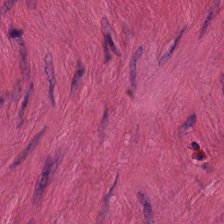This field is smooth muscle.
